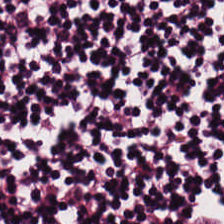H&E — lymphocyte aggregate.
